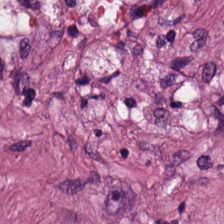WSI patch · H&E stain. Showing tumor stroma.
